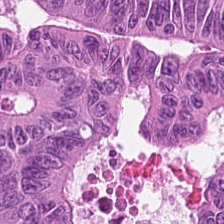This field is colorectal adenocarcinoma epithelium.
